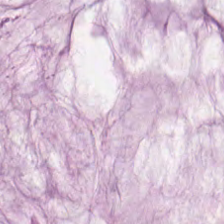H&E stain. FFPE tissue section. Whole-slide-image patch — Mucus.
